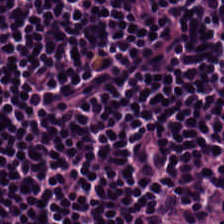{"tissue_type": "lymphocytes"}
